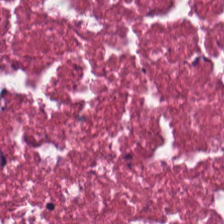Hematoxylin-and-eosin stained section. 224×224 px patch.
Impression → debris.
